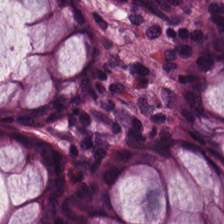Hematoxylin-and-eosin stained section — Normal colon mucosa.
